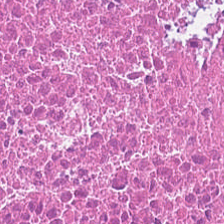0.5 microns per pixel · hematoxylin and eosin · brightfield — This field is cellular debris.
